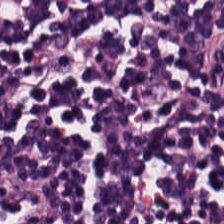Stain: hematoxylin and eosin.
Acquisition: brightfield.
Preparation: FFPE.
Tissue class: lymphocytes.
